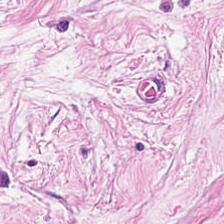H&E. Tumor-associated stroma.
